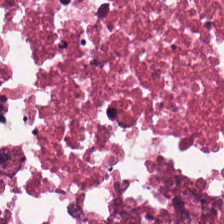Hematoxylin-and-eosin stained section — Q: What is shown in this field?
A: This is cellular debris.
